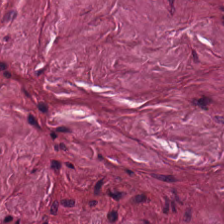Histology — tumor stroma.
